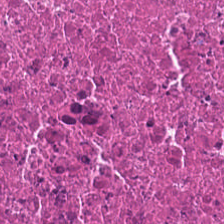H&E.
Finding → cellular debris.
